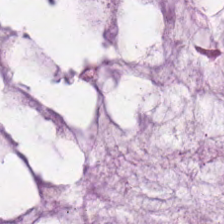Brightfield · hematoxylin-and-eosin stained section. {"tissue_type": "mucus"}
